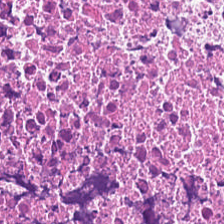Stain: hematoxylin and eosin.
Tissue: necrotic debris.
